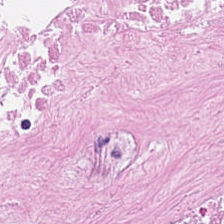Stain: H&E.
Tissue class: necrotic debris.
